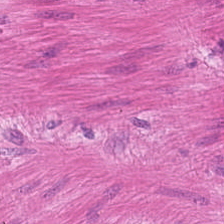Hematoxylin and eosin; 224×224 pixel tile.
Histology — muscularis.
